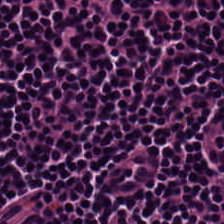0.5 microns per pixel; hematoxylin and eosin — Histology — lymphocyte aggregate.
